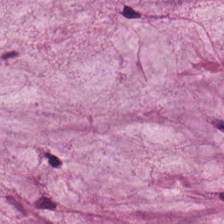224×224 pixel tile. Hematoxylin-and-eosin stained section. The tissue type is mucus.
